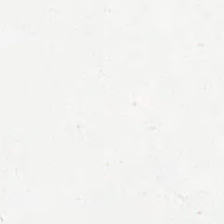Background (no tissue).
